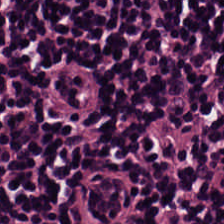H&E-stained tissue section — The tissue class is lymphocytes.
